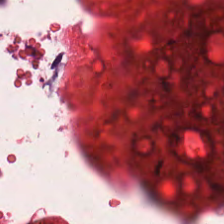Stain: hematoxylin-and-eosin stained section.
Classification: muscularis.
